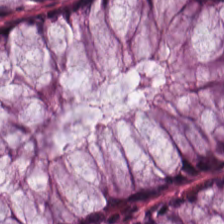H&E-stained tissue section.
Impression → normal colonic mucosa.
